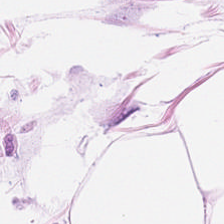{"tissue_type": "adipose"}
